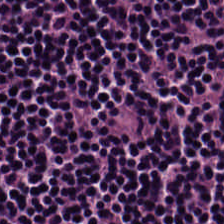H&E-stained tissue section — The tissue type is lymphoid infiltrate.
